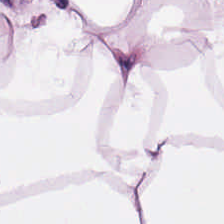H&E stain. 224×224 px tile. Classification = adipose tissue.
